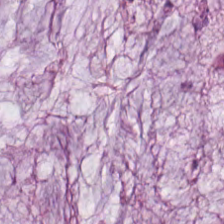H&E — Tissue: extracellular mucin.
